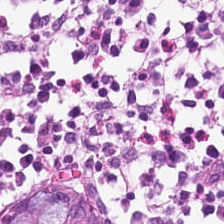Hematoxylin-and-eosin stained section — {"tissue_type": "benign colonic mucosa"}
